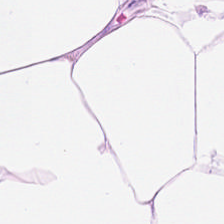0.5 µm per pixel · H&E · 224×224 pixel tile — Tissue type = adipose tissue.
